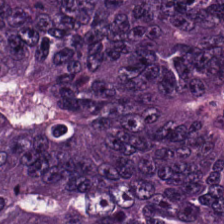0.5 µm/px · FFPE tissue section · H&E stain.
Q: What is the predominant tissue type?
A: This is colorectal adenocarcinoma.
